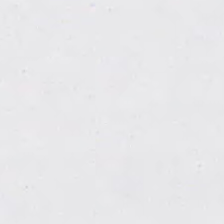Content — empty background.
